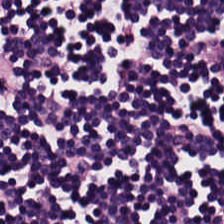Hematoxylin and eosin.
Q: Identify the tissue.
A: Lymphocytic infiltrate.
